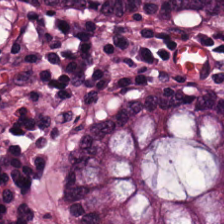H&E-stained tissue section.
The tissue here is non-neoplastic colon mucosa.
